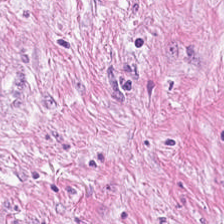H&E stain.
Predominant tissue = desmoplastic stroma.
